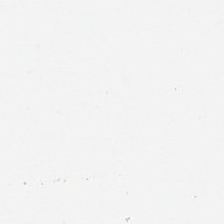H&E stain · FFPE tissue section · 0.5 µm/px — This field is background (no tissue).
